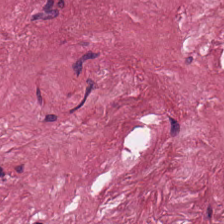H&E — Q: What does this patch show?
A: It is desmoplastic stroma.
